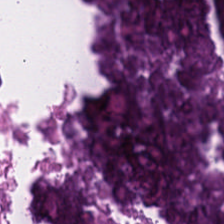H&E-stained tissue section — This field is debris.
